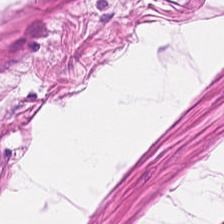H&E stain.
Predominantly muscularis.
